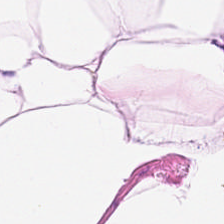WSI patch. H&E stain — Predominantly fat tissue.
